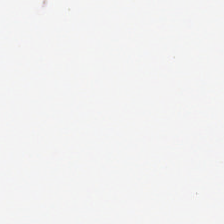FFPE tissue section. Brightfield microscopy. Hematoxylin and eosin.
This patch shows background (no tissue).
